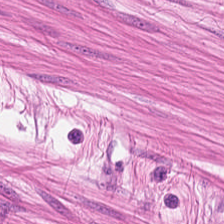WSI patch · hematoxylin-and-eosin stained section · 0.5 µm/px. Q: What does this patch show?
A: The field shows muscularis.
